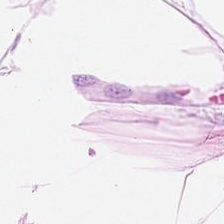Hematoxylin-and-eosin stained section.
This field is adipocytes.
